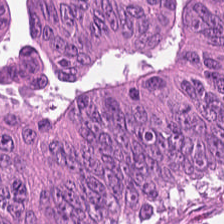Hematoxylin-and-eosin stained section. 0.5 µm per pixel. FFPE tissue section — Impression → malignant epithelium.
